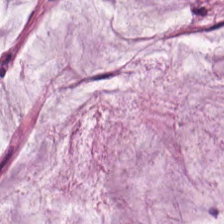Stain: H&E.
Tissue class: extracellular mucin.
